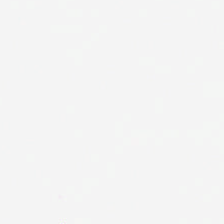H&E — Classification = background.
